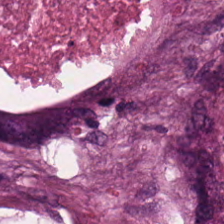Brightfield · H&E. Predominant tissue — debris.
